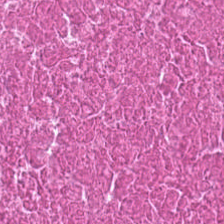Q: What is the predominant tissue type?
A: It is debris.
